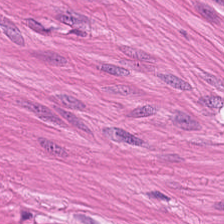Q: What is the predominant tissue type?
A: It is smooth-muscle tissue.
